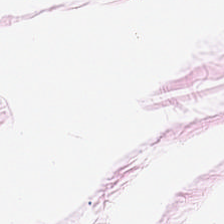H&E stain. Q: What tissue is shown?
A: It is fat tissue.
